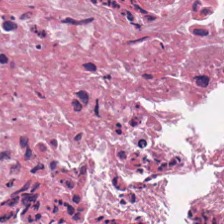H&E. Q: Classify this patch.
A: The field shows cellular debris.
